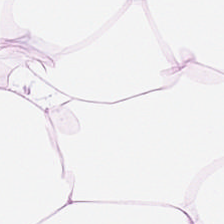Showing adipocytes.
